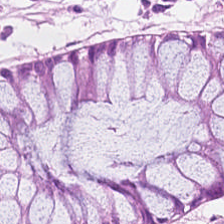H&E stain.
Non-neoplastic colon mucosa.
